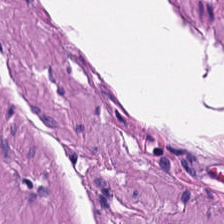WSI patch · FFPE · hematoxylin-and-eosin stained section. Showing smooth muscle.
